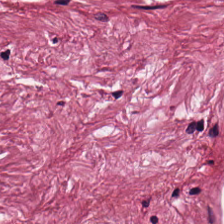224×224 px patch. H&E. Showing tumor-associated stroma.
